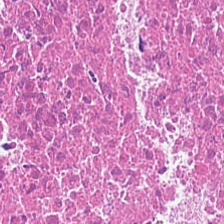H&E stain · 224×224 px patch.
Debris.
